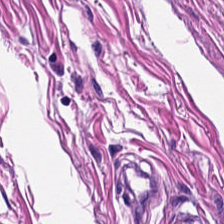FFPE · H&E stain.
{"tissue_type": "smooth-muscle tissue"}
